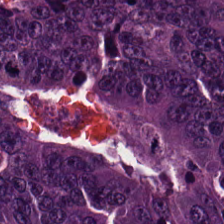H&E stain. This field is colorectal adenocarcinoma epithelium.
